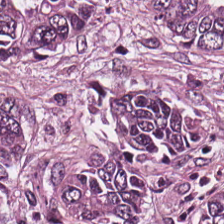Hematoxylin-and-eosin stained section — The predominant tissue is tumor epithelium.
